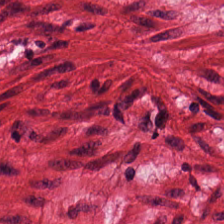H&E stain; 0.5 microns per pixel.
Impression → smooth muscle.
